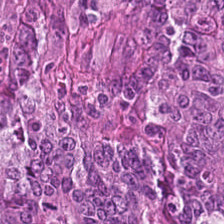224×224 pixel tile · formalin-fixed paraffin-embedded section · hematoxylin-and-eosin stained section — Q: Identify the tissue.
A: It is colorectal adenocarcinoma epithelium.
